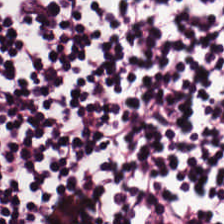Hematoxylin-and-eosin stained section. Lymphocytes.
